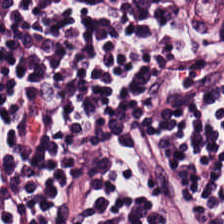Tissue class: lymphocytes.
